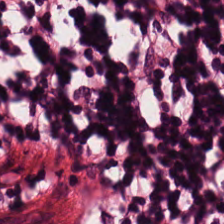FFPE; H&E-stained tissue section.
Q: What is shown in this field?
A: It is lymphocytes.
